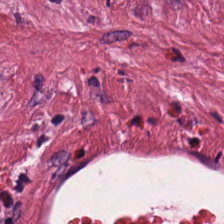0.5 µm per pixel · H&E-stained tissue section.
Q: Classify this patch.
A: The field shows tumor stroma.
